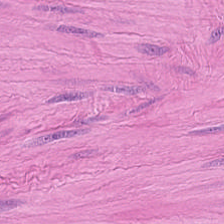H&E-stained tissue section showing muscularis.
